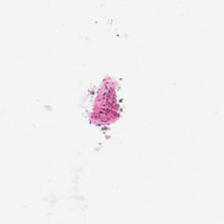H&E-stained tissue section · 224×224 pixel tile. This patch shows no tissue.
